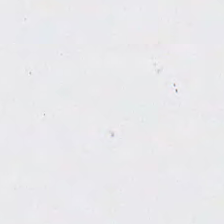H&E. 0.5 µm per pixel. Q: What does this patch show?
A: The field shows no tissue.
